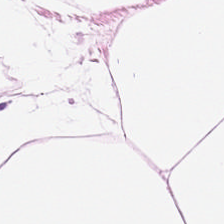Whole-slide-image patch; H&E — This patch shows adipocytes.
